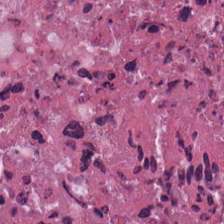H&E.
Q: What does this patch show?
A: The field shows debris.
